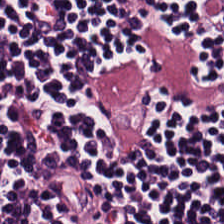Q: Classify this patch.
A: The field shows lymphoid infiltrate.
